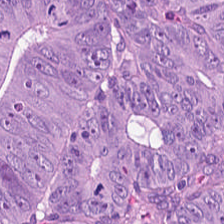Stain: hematoxylin and eosin.
Tissue type: malignant epithelium.
